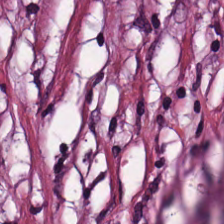Finding → tumor-associated stroma.
